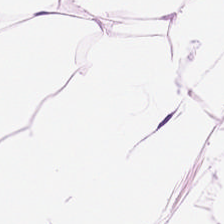Hematoxylin and eosin — Finding → fat tissue.
